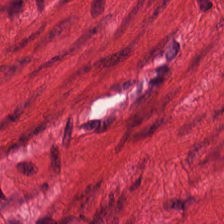Stain: H&E stain.
Tissue type: muscularis.
